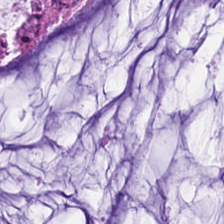Stain: H&E-stained tissue section.
Predominant tissue: extracellular mucin.
